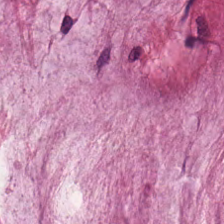Stain: H&E.
Tissue class: mucus.
